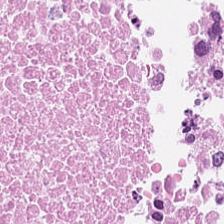Stain: hematoxylin-and-eosin stained section.
Resolution: 20× equivalent magnification.
Tissue: debris.
